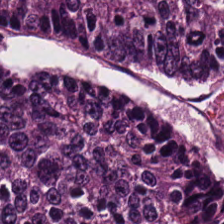Finding → adenocarcinoma.
